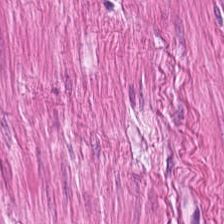H&E-stained tissue section · brightfield microscopy. Smooth-muscle tissue.
